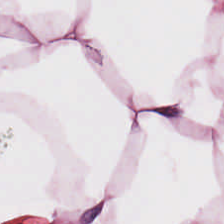H&E.
This field is adipocytes.
